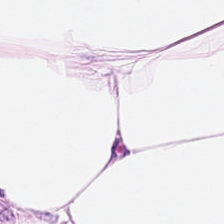Hematoxylin and eosin; WSI patch — Tissue — adipocytes.
